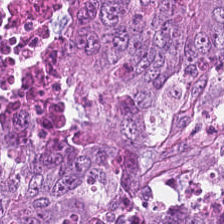224×224 pixel tile · H&E. Predominantly colorectal adenocarcinoma epithelium.
